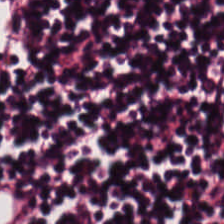Lymphocytes.
